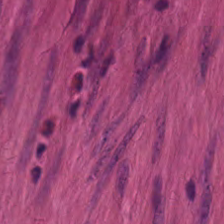WSI patch. Hematoxylin-and-eosin stained section. This field is muscularis.
